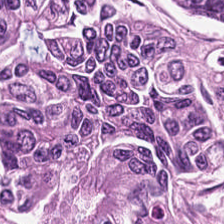Hematoxylin-and-eosin stained section — Tissue = tumor epithelium.
